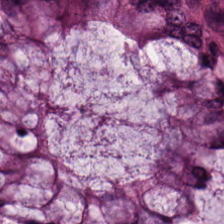Stain: H&E stain.
Classification: benign colonic mucosa.
